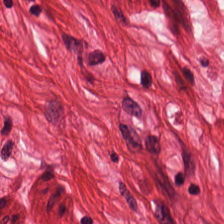0.5 microns per pixel; formalin-fixed paraffin-embedded section; H&E stain. Smooth-muscle tissue.
